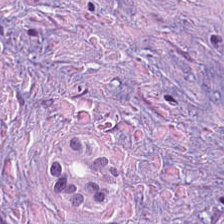Hematoxylin-and-eosin stained section. Q: What is shown here?
A: Tumor stroma.
